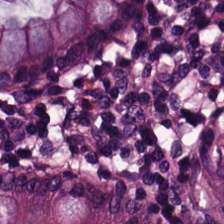Stain: hematoxylin-and-eosin stained section.
Tile size: 224×224 pixel tile.
Predominant tissue: normal colonic mucosa.
